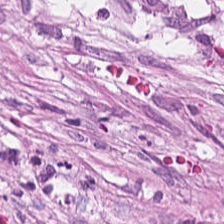Hematoxylin-and-eosin stained section · whole-slide-image patch. This patch shows tumor-associated stroma.
